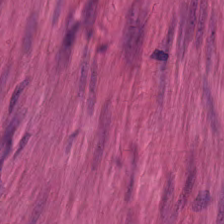Whole-slide-image patch. H&E.
Q: What is shown in this field?
A: This is smooth-muscle tissue.
